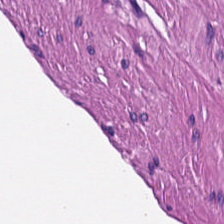Brightfield. Hematoxylin and eosin — The tissue class is smooth-muscle tissue.
